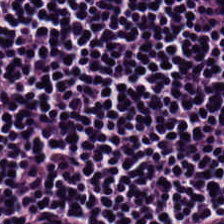H&E-stained tissue section. This patch shows lymphocytic infiltrate.
